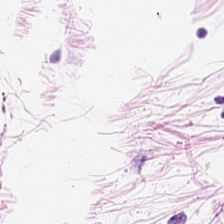Stain: H&E.
Tissue class: fat tissue.
